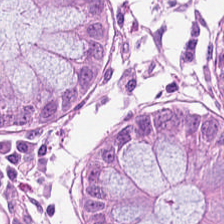Stain: H&E.
Tile size: 224×224 pixel tile.
Tissue: benign colonic mucosa.
